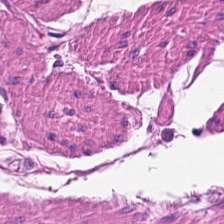Stain: hematoxylin-and-eosin stained section.
Tissue type: smooth muscle.
